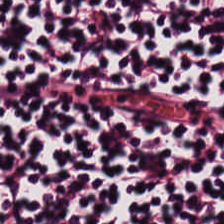20× equivalent magnification · H&E-stained tissue section. The tissue class is lymphocytic infiltrate.
